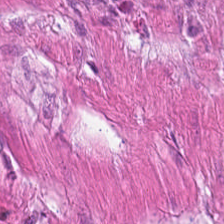The tissue class is muscularis.
